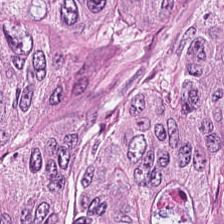Hematoxylin-and-eosin stained section — Tissue type = colorectal adenocarcinoma.
